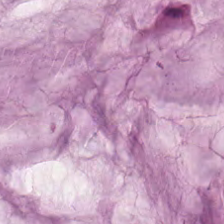Hematoxylin and eosin. The tissue type is extracellular mucin.
